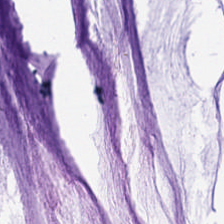Brightfield · hematoxylin-and-eosin stained section.
Tissue type = mucus.
